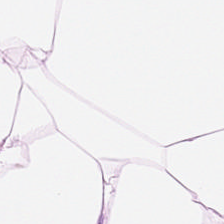20× equivalent magnification; hematoxylin-and-eosin stained section.
Q: Classify this patch.
A: The field shows fat tissue.
